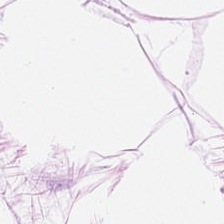Stain: H&E.
Tissue type: adipose tissue.
